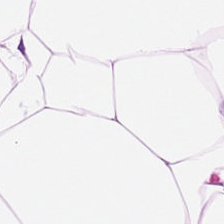H&E stain. 224×224 px tile. The predominant tissue is adipose.
